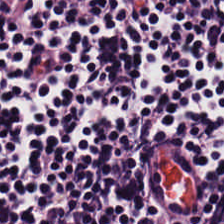224×224 px tile. H&E. FFPE.
Impression → lymphocyte aggregate.
